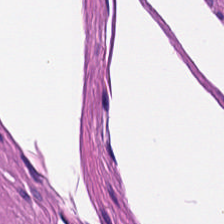0.5 µm per pixel. Hematoxylin and eosin.
Finding → smooth-muscle tissue.
